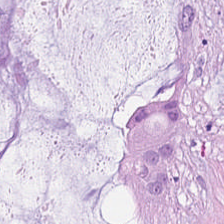FFPE tissue section; H&E-stained tissue section; brightfield microscopy.
This patch shows mucin.
